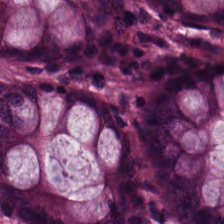224×224 px tile · H&E-stained tissue section.
Showing normal colonic mucosa.
